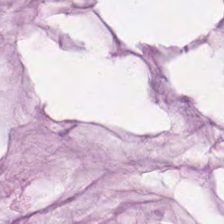H&E. Predominant tissue: mucus.
